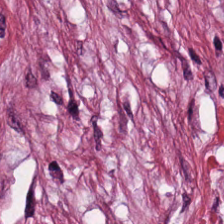Hematoxylin and eosin — This field is cancer-associated stroma.
